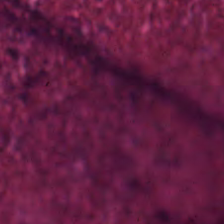Hematoxylin-and-eosin stained section. The tissue here is cellular debris.
